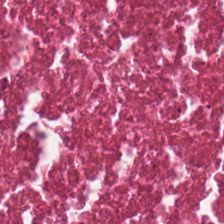Showing debris.
